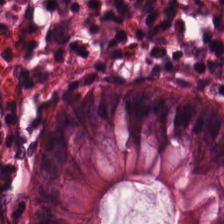Stain: H&E.
Tissue class: non-neoplastic colon mucosa.
